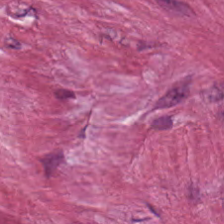H&E stain. 0.5 microns per pixel — The predominant tissue is desmoplastic stroma.
